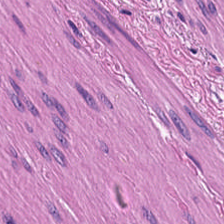Hematoxylin and eosin.
Smooth muscle.
